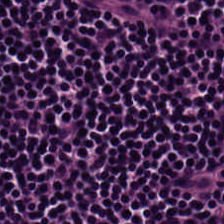This field is lymphoid infiltrate.
